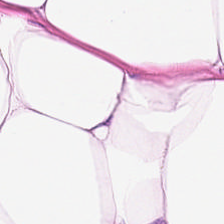H&E-stained tissue section.
Showing adipose tissue.
